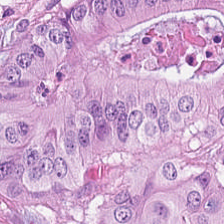Brightfield. H&E stain. Predominantly adenocarcinoma.
